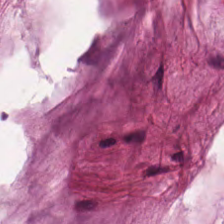0.5 microns per pixel · H&E · whole-slide-image patch.
Tissue class = extracellular mucin.
